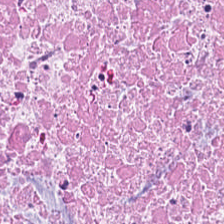Stain: H&E-stained tissue section.
Tissue: cellular debris.
